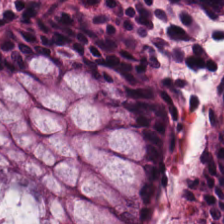H&E stain.
Q: What is shown here?
A: This is benign colonic mucosa.
